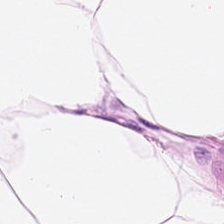H&E. 20× equivalent magnification. Predominantly fat tissue.
